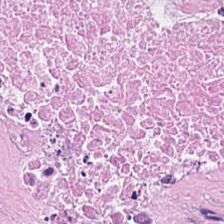H&E-stained tissue section. Showing cellular debris.
